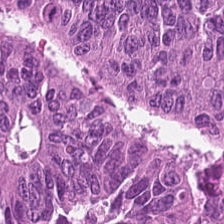The predominant tissue is colorectal adenocarcinoma.
